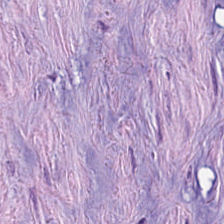H&E. The tissue type is tumor-associated stroma.
